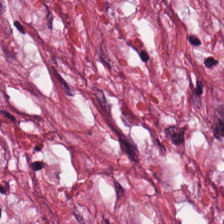H&E stain — Q: Classify this patch.
A: Desmoplastic stroma.
